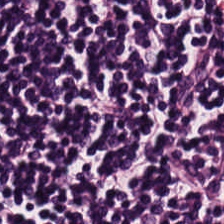H&E-stained tissue section. Finding → lymphoid infiltrate.
